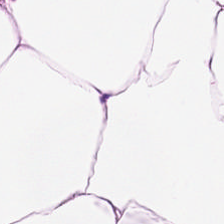H&E-stained section; the field shows adipocytes.
